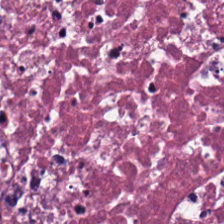224×224 px tile · H&E-stained tissue section · 20× equivalent magnification — Tissue — debris.
